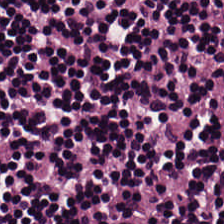Hematoxylin-and-eosin stained section. Q: What is shown in this field?
A: It is lymphocytes.
